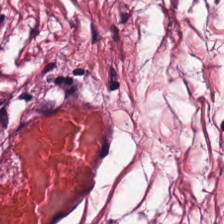H&E-stained tissue section.
Predominantly cancer-associated stroma.
